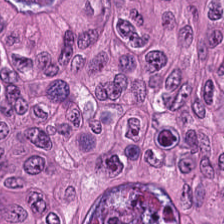FFPE; 0.5 µm per pixel; H&E stain. Tissue = tumor epithelium.
